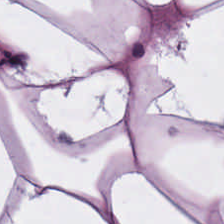H&E. 20× equivalent magnification. The classification is adipocytes.
